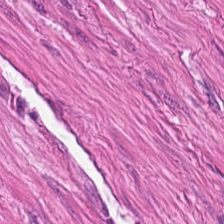H&E · 224×224 px patch.
The tissue here is muscularis.
